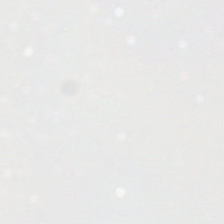H&E-stained tissue section — The field content is background.
